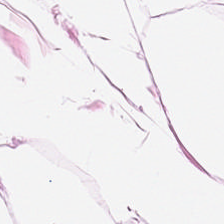0.5 µm per pixel · hematoxylin and eosin · formalin-fixed paraffin-embedded section. {"tissue_type": "fat tissue"}
